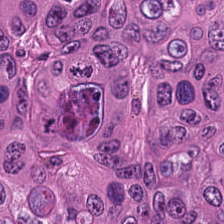Hematoxylin and eosin. 0.5 µm per pixel. This patch shows colorectal adenocarcinoma epithelium.
